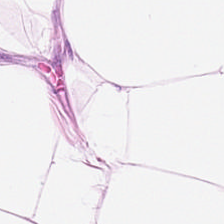H&E stain. Tissue: adipose tissue.
